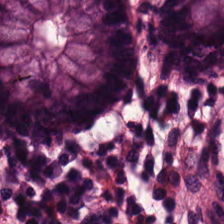H&E — This field is normal colonic mucosa.
